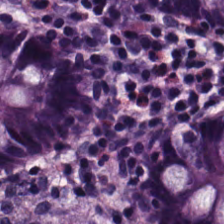Hematoxylin and eosin — Impression → normal colonic mucosa.
